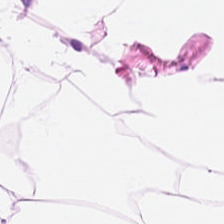Hematoxylin-and-eosin stained section; 224×224 pixel tile — The predominant tissue is adipocytes.
